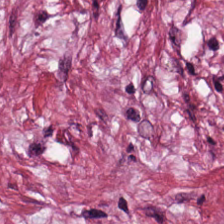Q: What is shown here?
A: The field shows tumor stroma.
